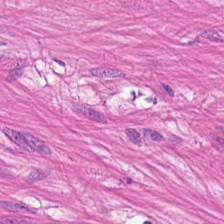Stain: H&E stain.
Classification: muscularis.
